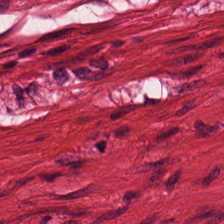H&E-stained tissue section.
Q: What type of tissue is this?
A: It is smooth-muscle tissue.
